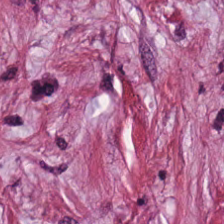Hematoxylin and eosin. Predominant tissue: tumor stroma.
